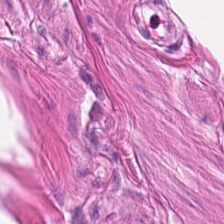Hematoxylin and eosin. Impression → muscularis.
